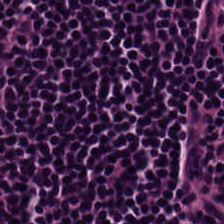H&E — The tissue type is lymphocytic infiltrate.
